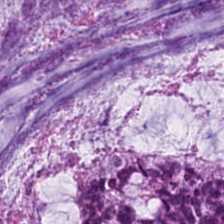Hematoxylin-and-eosin stained section.
This field is mucin.
